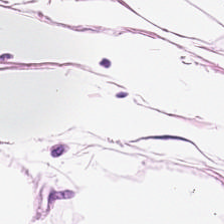H&E.
This patch shows adipose tissue.
